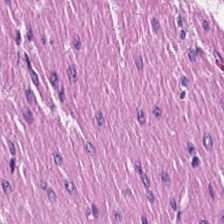H&E stain.
This patch shows smooth-muscle tissue.
